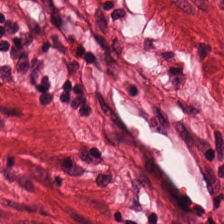Hematoxylin and eosin. The tissue type is smooth muscle.
